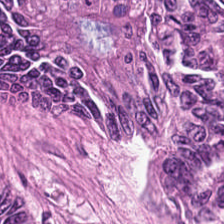20× equivalent magnification. Hematoxylin-and-eosin stained section — This patch shows adenocarcinoma.
